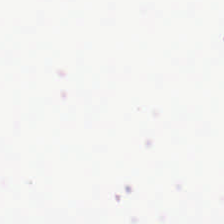Background.
